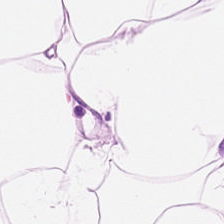Hematoxylin and eosin — Finding — adipose tissue.
